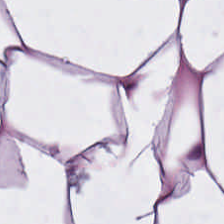Brightfield microscopy. H&E. 224×224 px patch — Histology → adipose tissue.
